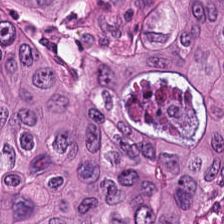Classification: tumor epithelium.
